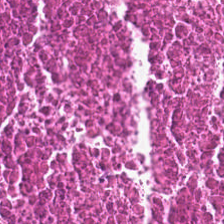H&E stain.
Impression — debris.
